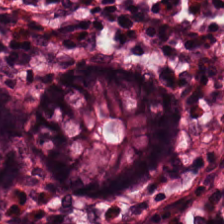H&E-stained tissue section. FFPE tissue section. Impression — normal colonic mucosa.
